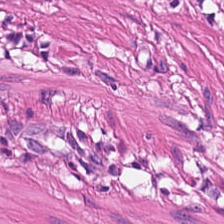0.5 µm per pixel; H&E-stained tissue section. Predominantly muscularis.
